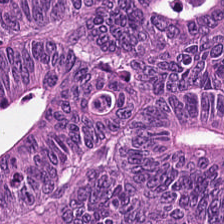H&E. Q: What is the predominant tissue type?
A: Colorectal adenocarcinoma.
